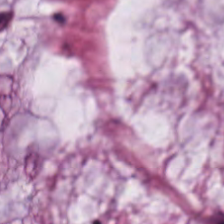224×224 pixel tile · formalin-fixed paraffin-embedded section · H&E. This patch shows extracellular mucin.
